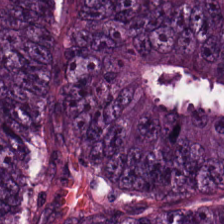0.5 µm per pixel; H&E-stained tissue section — Predominantly adenocarcinoma.
